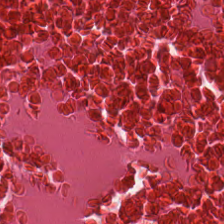Hematoxylin and eosin · formalin-fixed paraffin-embedded section. Q: What tissue type is shown here?
A: Cellular debris.
